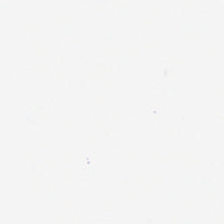H&E.
Finding → background (no tissue).
